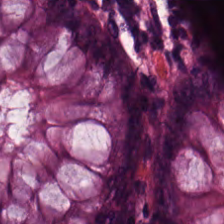Non-neoplastic colon mucosa.
